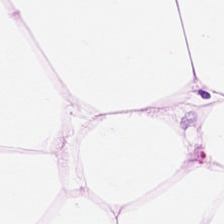H&E-stained tissue section.
Showing adipocytes.
